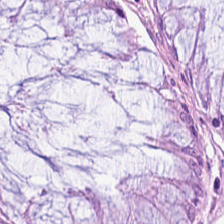Tissue class — non-neoplastic colon mucosa.
